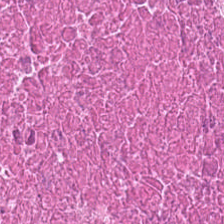Predominantly cellular debris.
